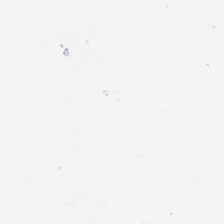Stain: H&E.
Tile size: 224×224 px patch.
Classification: background.
